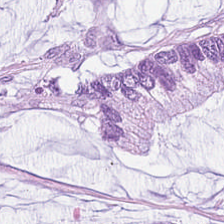H&E stain. FFPE tissue section. Tissue type = extracellular mucin.
